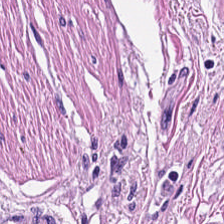0.5 microns per pixel; hematoxylin and eosin; formalin-fixed paraffin-embedded section — Tissue: muscularis.
